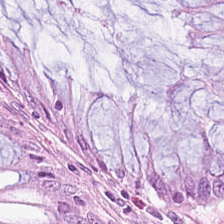224×224 pixel tile · H&E-stained tissue section · FFPE.
Classification: non-neoplastic colon mucosa.
